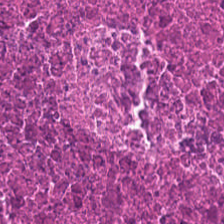This patch shows necrotic debris.
